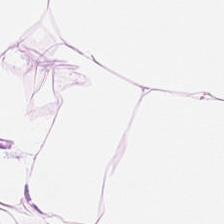Impression → adipocytes.
